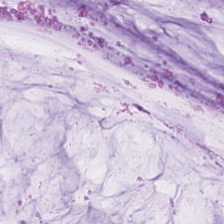The tissue is mucus.
